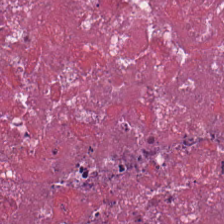Stain: hematoxylin-and-eosin stained section.
Classification: cellular debris.
